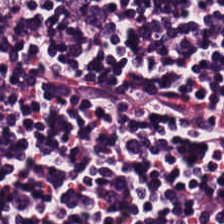Stain: hematoxylin and eosin.
Classification: lymphocytes.
